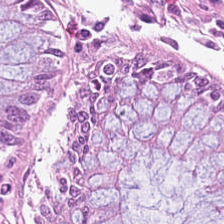H&E stain — Q: What is shown in this field?
A: The field shows non-neoplastic colon mucosa.
